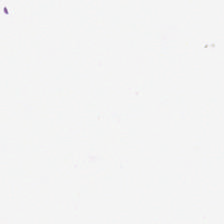Stain: H&E stain.
Preparation: FFPE.
Classification: background (no tissue).
